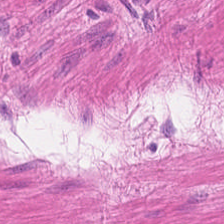224×224 px patch. Hematoxylin and eosin — Q: What is shown in this field?
A: It is muscularis.
